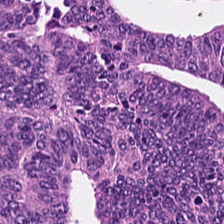H&E-stained tissue section · 0.5 microns per pixel — This field is colorectal adenocarcinoma epithelium.
